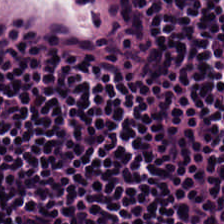Stain: H&E.
Predominant tissue: lymphocytic infiltrate.
